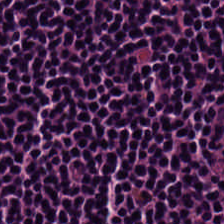Hematoxylin and eosin — Impression — lymphocytes.
